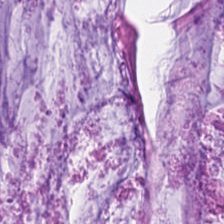H&E stain · brightfield.
Q: What does this patch show?
A: It is mucus.
